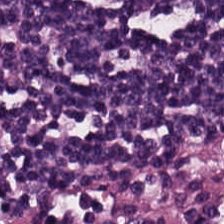H&E stain. Lymphoid infiltrate.
